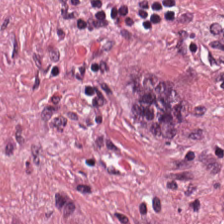FFPE tissue section · hematoxylin-and-eosin stained section.
Q: What is the predominant tissue type?
A: This is desmoplastic stroma.
